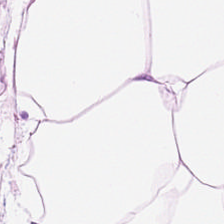Q: What is shown in this field?
A: This is adipose.
